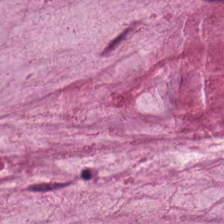0.5 µm per pixel; H&E.
The predominant tissue is mucus.
